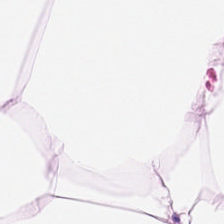Adipose tissue.
